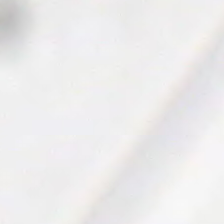H&E stain. Background.
